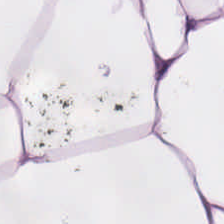Predominantly adipocytes.
